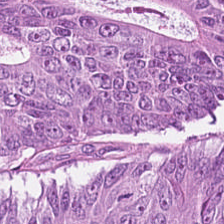H&E stain — This field is colorectal adenocarcinoma.
